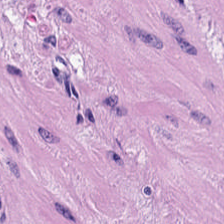Stain: H&E stain.
Tissue type: smooth muscle.
